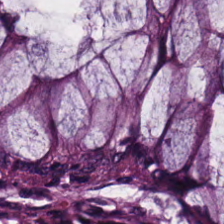H&E-stained tissue section. Formalin-fixed paraffin-embedded section. This patch shows non-neoplastic colon mucosa.
